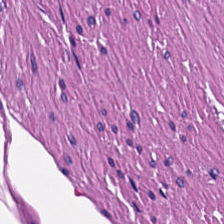Hematoxylin-and-eosin stained section.
{"tissue_type": "smooth-muscle tissue"}
